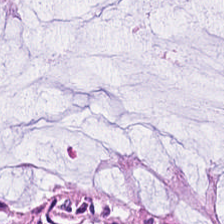The predominant tissue is normal colon mucosa.
